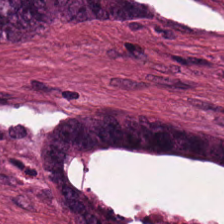FFPE tissue section; hematoxylin and eosin; brightfield.
Tissue class = malignant epithelium.
